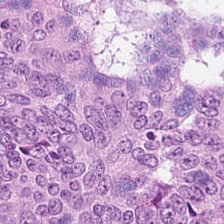Hematoxylin and eosin; 224×224 pixel tile — The tissue here is colorectal adenocarcinoma epithelium.
